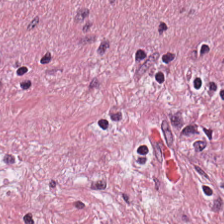H&E. Predominant tissue — tumor-associated stroma.
